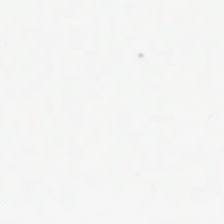Hematoxylin and eosin.
No tissue present; background only.
